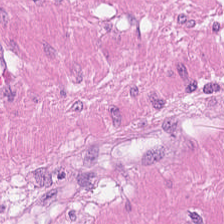224×224 px tile. Hematoxylin and eosin. Tissue class — smooth muscle.
